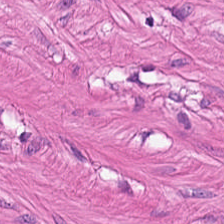Stain: H&E-stained tissue section.
Predominant tissue: smooth-muscle tissue.
